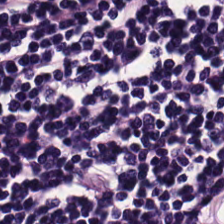Impression → lymphocytic infiltrate.
